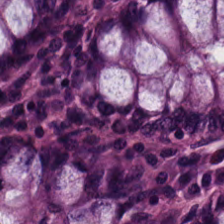H&E — Q: What tissue type is shown here?
A: This is benign colonic mucosa.
